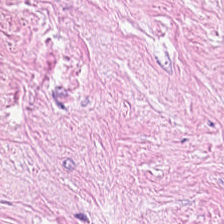H&E-stained tissue section.
This patch shows cancer-associated stroma.
